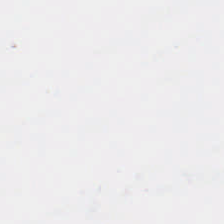H&E-stained tissue section. Brightfield microscopy. This patch shows empty background.
